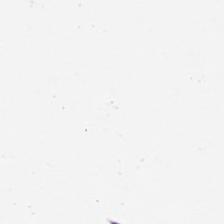Stain: H&E stain.
Tissue: adipose.
